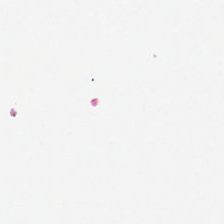Brightfield · hematoxylin and eosin.
Content: background.
